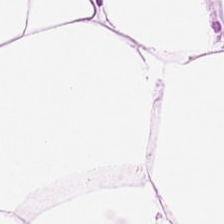H&E stain. Adipose tissue.
